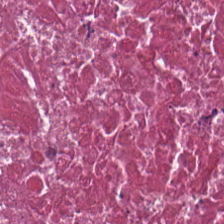Histology — cellular debris.
